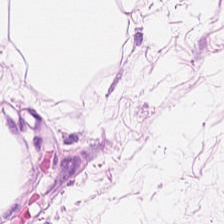Hematoxylin-and-eosin stained section.
Showing adipocytes.
